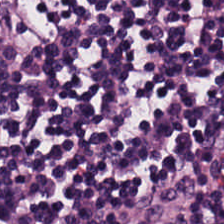H&E-stained tissue section.
Histology — lymphoid infiltrate.
